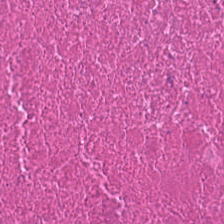H&E — This field is necrotic debris.
